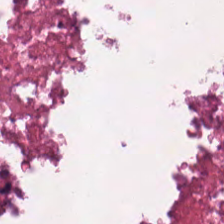FFPE tissue section · H&E · 0.5 microns per pixel.
The predominant tissue is necrotic debris.
